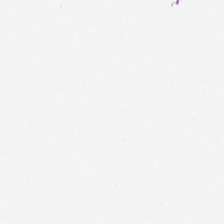H&E.
This patch shows background (no tissue).
